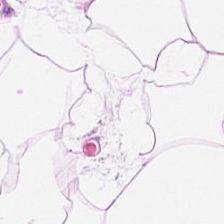Hematoxylin and eosin · 20× equivalent magnification — {"tissue_type": "adipose"}
